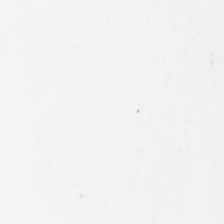Hematoxylin-and-eosin stained section — This patch shows background.
